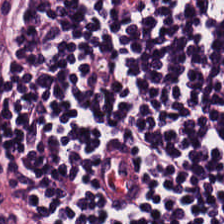224×224 px patch; H&E stain — Tissue type = lymphoid infiltrate.
